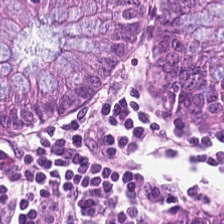224×224 px patch · hematoxylin and eosin · 0.5 µm/px — The tissue type is benign colonic mucosa.
